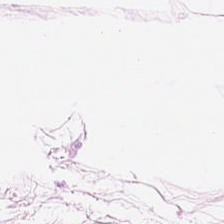20× equivalent magnification. Hematoxylin-and-eosin stained section — Predominant tissue — adipocytes.
